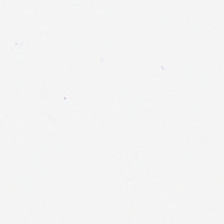Hematoxylin-and-eosin stained section — Classification: background.
